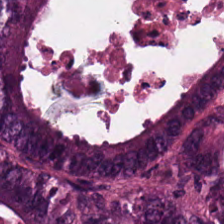H&E. Finding — tumor epithelium.
